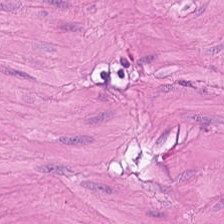Hematoxylin-and-eosin stained section — Smooth muscle.
